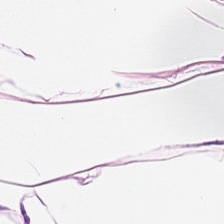Formalin-fixed paraffin-embedded section · hematoxylin-and-eosin stained section.
Q: What is shown here?
A: Fat tissue.
